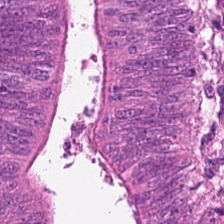The tissue here is malignant epithelium.
